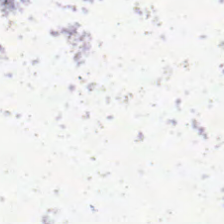Impression — background.
